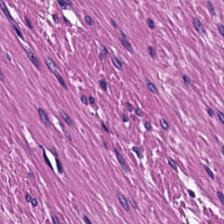H&E stain. This patch shows muscularis.
